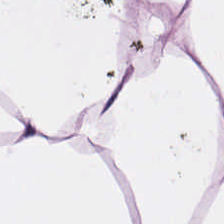Stain: H&E.
Acquisition: whole-slide-image patch.
Tissue type: adipose tissue.
